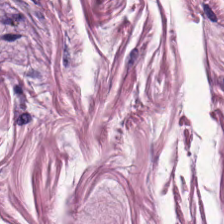H&E. This patch shows smooth muscle.
